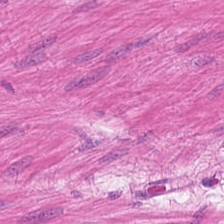H&E stain. Predominantly smooth muscle.
